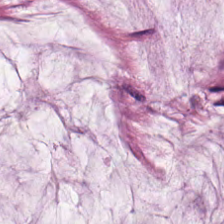H&E-stained tissue section showing extracellular mucin.
